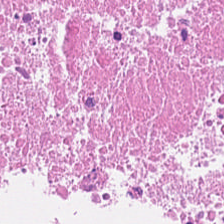Stain: H&E-stained tissue section.
Resolution: 0.5 microns per pixel.
Acquisition: WSI patch.
Predominant tissue: cellular debris.
